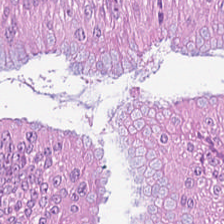Predominant tissue: tumor epithelium.
